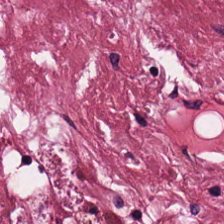Hematoxylin and eosin · FFPE · 0.5 µm/px. Tissue type — desmoplastic stroma.
